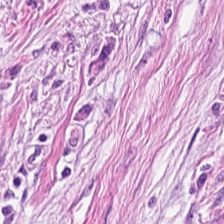Brightfield microscopy · hematoxylin-and-eosin stained section — This patch shows desmoplastic stroma.
